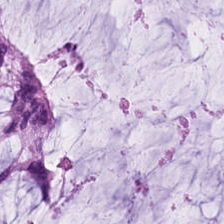Hematoxylin-and-eosin stained section — Q: What tissue is shown?
A: The field shows extracellular mucin.
